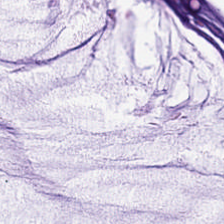Tissue type — extracellular mucin.
